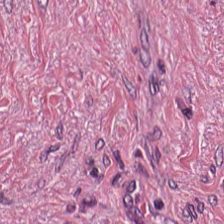H&E stain. Q: Classify this patch.
A: This is tumor-associated stroma.
